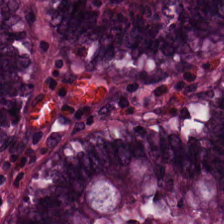Stain: hematoxylin-and-eosin stained section.
Tile size: 224×224 pixel tile.
Predominant tissue: normal colonic mucosa.
